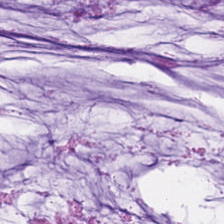Brightfield microscopy. Hematoxylin-and-eosin stained section. 224×224 pixel tile.
This patch shows mucin.
